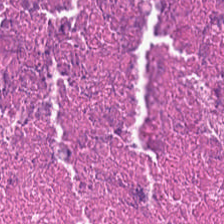Hematoxylin-and-eosin stained section.
The tissue here is debris.
